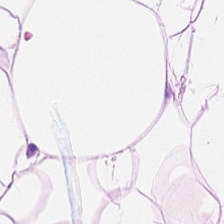H&E stain. 0.5 microns per pixel — Finding — fat tissue.
